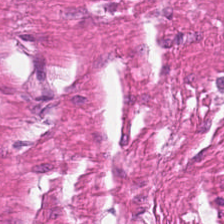H&E stain.
Histology — smooth muscle.
